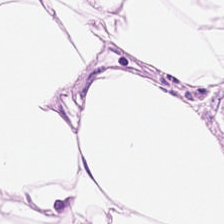Stain: H&E-stained tissue section.
Tissue: adipocytes.
